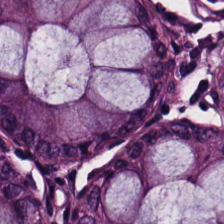H&E. This field is non-neoplastic colon mucosa.
